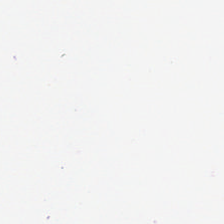H&E · 0.5 microns per pixel — No tissue present; background only.
